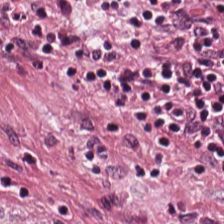H&E-stained tissue section. Finding — colorectal adenocarcinoma.
